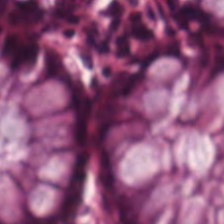Classification = normal colonic mucosa.
